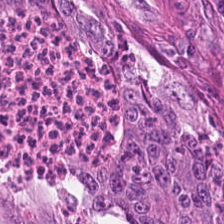H&E-stained tissue section; WSI patch; FFPE tissue section. Showing colorectal adenocarcinoma.
